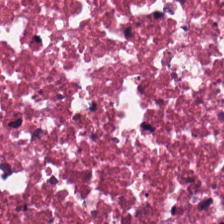Hematoxylin and eosin. {"tissue_type": "necrotic debris"}
